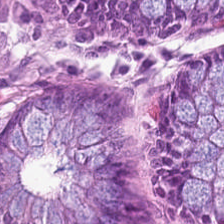WSI patch. FFPE tissue section. Hematoxylin-and-eosin stained section.
Tissue type — benign colonic mucosa.
